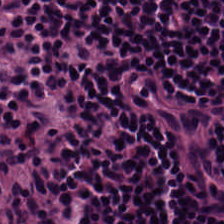H&E-stained section; the field shows lymphoid infiltrate.
